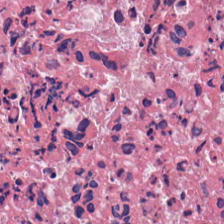Hematoxylin and eosin; FFPE; 0.5 microns per pixel — Tissue = debris.
